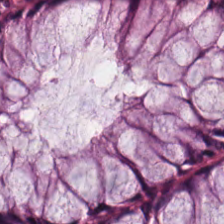0.5 microns per pixel; whole-slide-image patch; H&E stain — Impression → normal colon mucosa.
